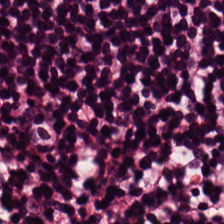H&E stain · 0.5 µm per pixel — The tissue here is lymphocytic infiltrate.
